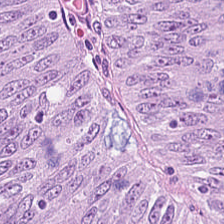H&E stain — The tissue here is colorectal adenocarcinoma.
